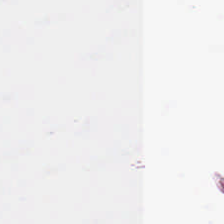Formalin-fixed paraffin-embedded section; H&E-stained tissue section. Content: no tissue.
